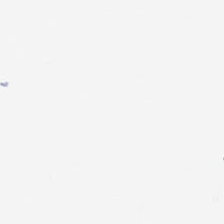H&E-stained tissue section.
This patch shows background (no tissue).
